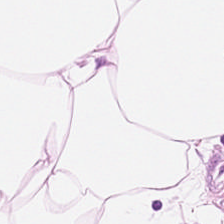H&E-stained tissue section.
Q: What is shown here?
A: Adipose.
